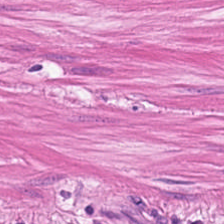Q: What does this patch show?
A: It is muscularis.
